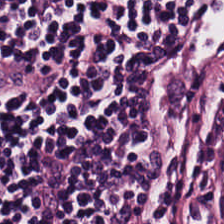H&E-stained tissue section. Q: What is the predominant tissue type?
A: Lymphocytic infiltrate.
